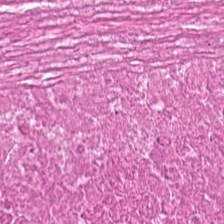Stain: hematoxylin-and-eosin stained section.
Tissue type: cellular debris.
